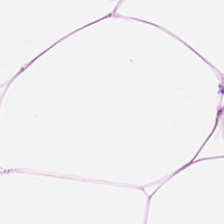Predominant tissue: adipocytes.
